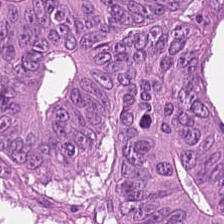WSI patch; H&E; 224×224 pixel tile. Classification = colorectal adenocarcinoma.
